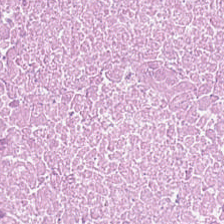Stain: hematoxylin-and-eosin stained section.
Tile size: 224×224 px patch.
Tissue class: cellular debris.
